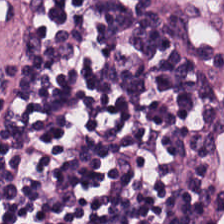Q: What type of tissue is this?
A: It is lymphocytic infiltrate.
